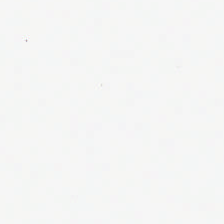Stain: H&E-stained tissue section.
Classification: background.
